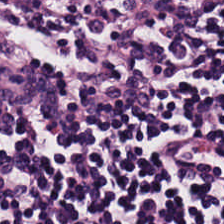H&E patch showing lymphocyte aggregate.
